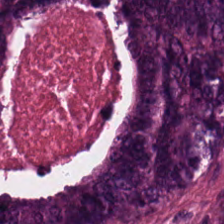Hematoxylin and eosin. The predominant tissue is malignant epithelium.
